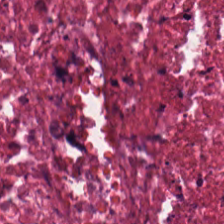Hematoxylin and eosin · WSI patch — Q: What tissue type is shown here?
A: Necrotic debris.
